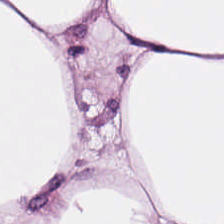224×224 pixel tile; FFPE; H&E.
{"tissue_type": "adipocytes"}
